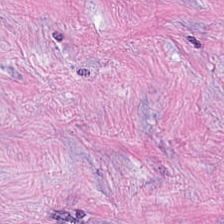{"tissue_type": "tumor-associated stroma"}
